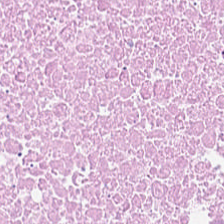Hematoxylin and eosin — Histology — debris.
